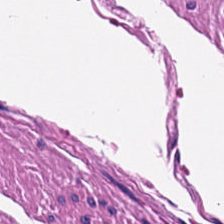Hematoxylin-and-eosin stained section; 224×224 px tile; FFPE tissue section. This patch shows smooth muscle.
